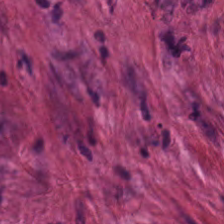The predominant tissue is tumor-associated stroma.
